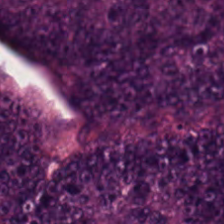Showing colorectal adenocarcinoma epithelium.
